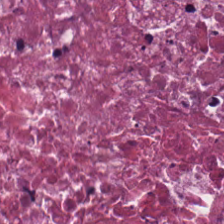0.5 µm/px. FFPE tissue section. H&E — Q: What does this patch show?
A: This is debris.
